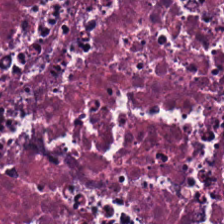Tissue — debris.
